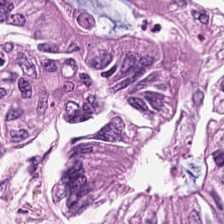H&E stain.
{"tissue_type": "tumor epithelium"}
